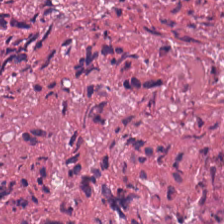H&E · FFPE tissue section. Q: What is shown here?
A: The field shows debris.
